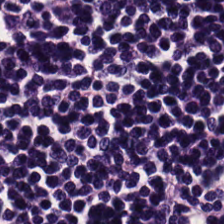H&E-stained tissue section — This field is lymphoid infiltrate.
